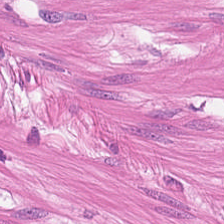0.5 µm/px; H&E stain. Q: Classify this patch.
A: This is smooth-muscle tissue.
